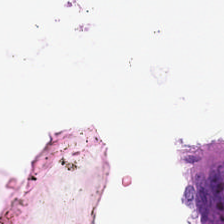Q: What is shown in this field?
A: The field shows background.
